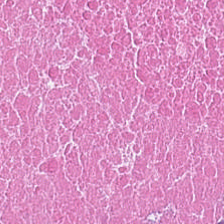Hematoxylin-and-eosin section: debris.
